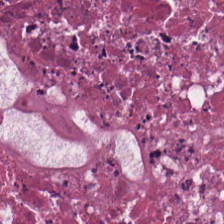0.5 microns per pixel. H&E-stained tissue section.
Impression — debris.
